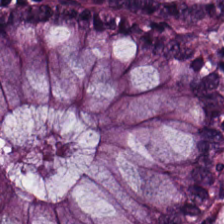H&E stain.
The predominant tissue is normal colon mucosa.
